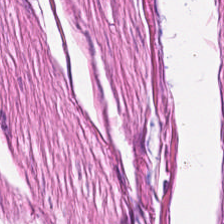0.5 microns per pixel. Hematoxylin-and-eosin stained section. Q: Classify this patch.
A: This is smooth-muscle tissue.
